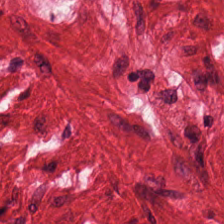Histology — muscularis.
